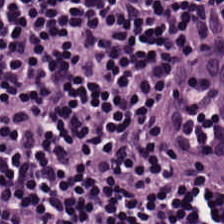H&E stain; 0.5 µm per pixel. Classification = lymphocytes.
